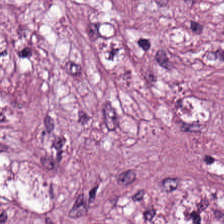Impression — cancer-associated stroma.
